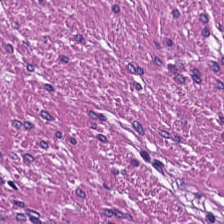Hematoxylin and eosin.
The classification is smooth muscle.
